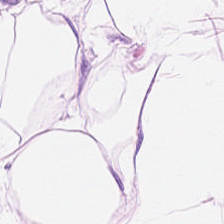H&E — This field is adipose tissue.
